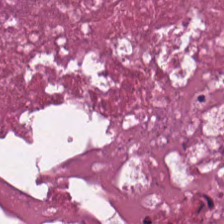Tissue = cellular debris.
